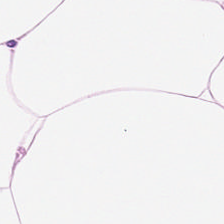Predominant tissue = adipose.
